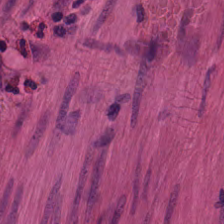Hematoxylin and eosin.
The tissue is smooth muscle.
